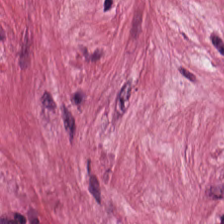0.5 µm per pixel; hematoxylin-and-eosin stained section; whole-slide-image patch. Q: What does this patch show?
A: The field shows cancer-associated stroma.
